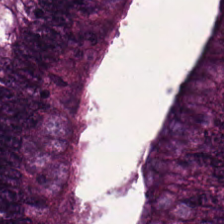Stain: H&E stain.
Tissue type: colorectal adenocarcinoma epithelium.
